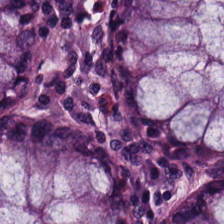Hematoxylin and eosin — This field is normal colon mucosa.
